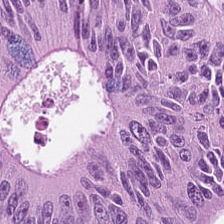Hematoxylin-and-eosin stained section — This field is colorectal adenocarcinoma epithelium.
